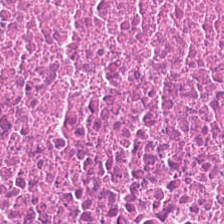Q: Classify this patch.
A: Debris.
